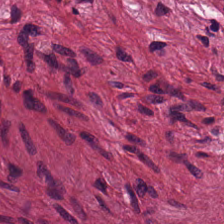WSI patch. FFPE. H&E-stained tissue section. Q: Classify this patch.
A: It is cancer-associated stroma.
